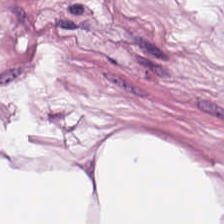H&E · formalin-fixed paraffin-embedded section — This patch shows adipose tissue.
